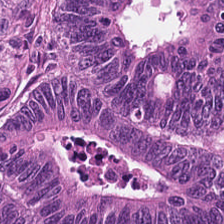H&E. Colorectal adenocarcinoma epithelium.
